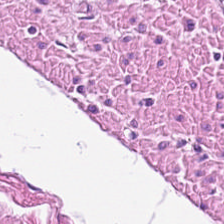Smooth muscle.
